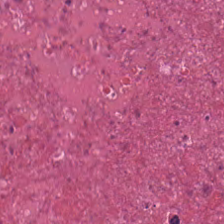224×224 px tile; H&E — Q: What does this patch show?
A: The field shows cellular debris.
